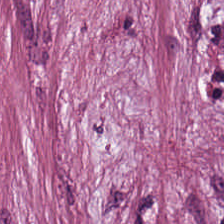H&E stain · FFPE tissue section — The tissue here is cancer-associated stroma.
